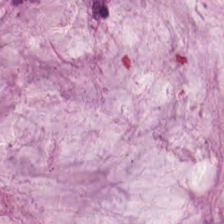H&E. Tissue class: mucin.
